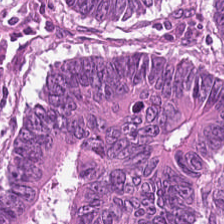H&E; FFPE. The predominant tissue is colorectal adenocarcinoma epithelium.
